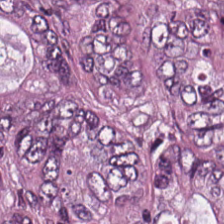Stain: H&E stain.
Tile size: 224×224 px patch.
Resolution: 20× equivalent magnification.
Classification: malignant epithelium.
